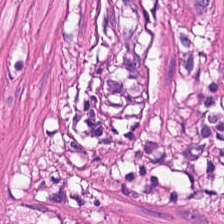Hematoxylin-and-eosin stained section — Smooth-muscle tissue.
